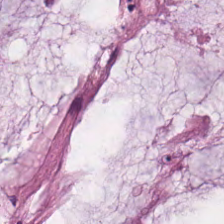H&E-stained tissue section. Classification = mucin.
